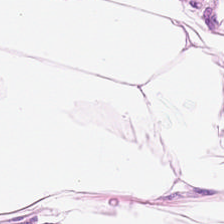H&E stain. This field is adipose.
